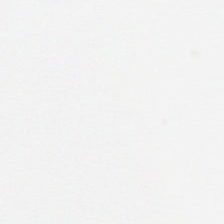Stain: hematoxylin-and-eosin stained section.
Content: empty background.
